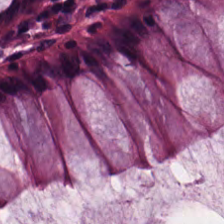Hematoxylin-and-eosin stained section · 224×224 px patch — Predominant tissue — normal colon mucosa.
